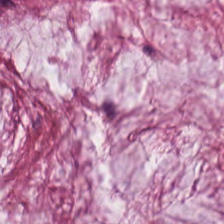H&E stain; 0.5 microns per pixel. Impression — mucus.
